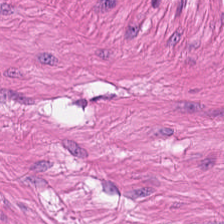{"tissue_type": "smooth muscle"}
